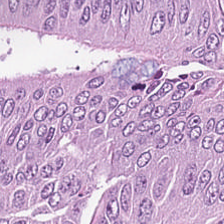Hematoxylin and eosin. 0.5 µm per pixel.
Impression → tumor epithelium.
